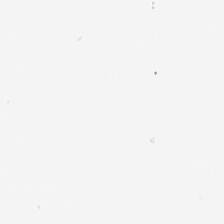Empty field — empty background.
